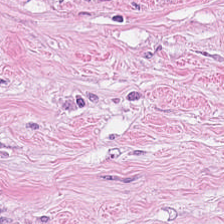Stain: H&E.
Tissue: tumor stroma.
